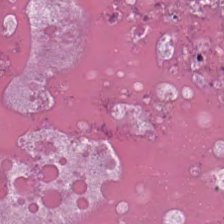Q: Classify this patch.
A: Debris.
